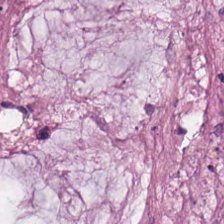Histology → mucin.
